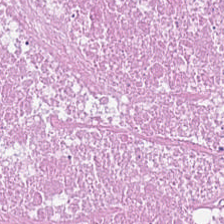0.5 microns per pixel. H&E. 224×224 px patch — This field is necrotic debris.
